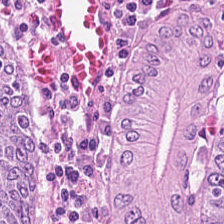H&E.
This patch shows tumor epithelium.
